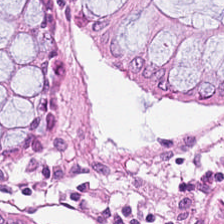Histology → normal colon mucosa.
